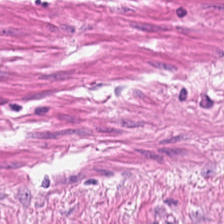Hematoxylin and eosin.
Tissue class — smooth-muscle tissue.
